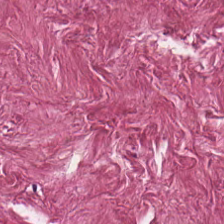Brightfield · H&E-stained tissue section. The tissue is cancer-associated stroma.
